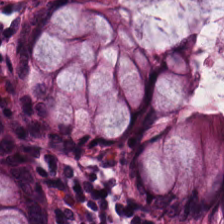Q: What is the predominant tissue type?
A: The field shows normal colon mucosa.
